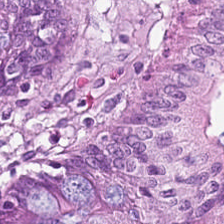Hematoxylin-and-eosin stained section — Q: What is shown in this field?
A: It is normal colonic mucosa.
